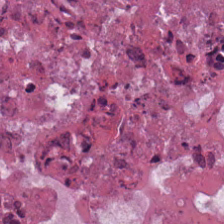WSI patch; formalin-fixed paraffin-embedded section; H&E-stained tissue section — Impression — debris.
